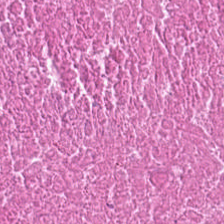Hematoxylin and eosin — Tissue class: necrotic debris.
